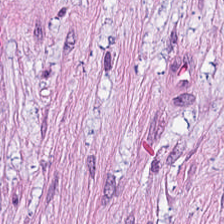H&E-stained tissue section — {"tissue_type": "tumor stroma"}
